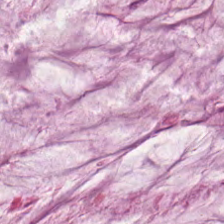FFPE; hematoxylin and eosin. Showing mucin.
